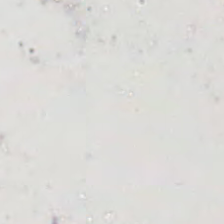H&E stain. Classification: empty background.
